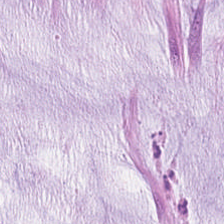H&E.
This field is extracellular mucin.
